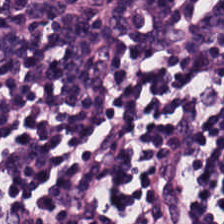Showing lymphoid infiltrate.
